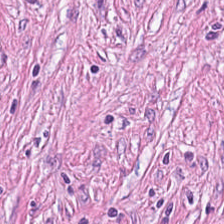224×224 pixel tile; whole-slide-image patch; hematoxylin-and-eosin stained section. Q: Classify this patch.
A: Tumor-associated stroma.
